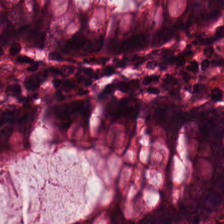Q: What tissue type is shown here?
A: The field shows normal colon mucosa.
